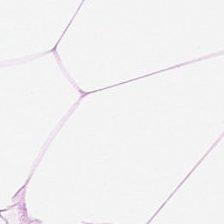FFPE; hematoxylin-and-eosin stained section.
Showing adipocytes.
